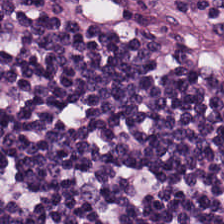Q: What does this patch show?
A: Lymphoid infiltrate.
